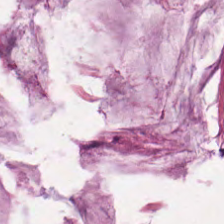Hematoxylin and eosin · 0.5 µm per pixel · FFPE tissue section.
This field is extracellular mucin.
